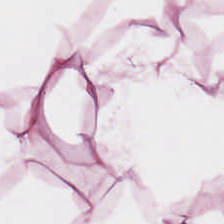Hematoxylin-and-eosin stained section. This patch shows adipose.
